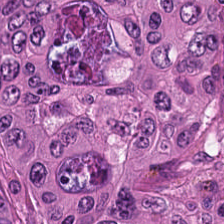Whole-slide-image patch. Hematoxylin and eosin. Q: What does this patch show?
A: Colorectal adenocarcinoma epithelium.
